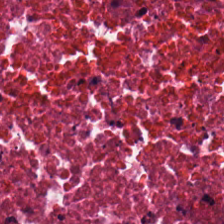H&E. Tissue: necrotic debris.
